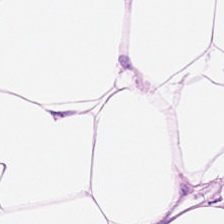{"tissue_type": "adipocytes"}
